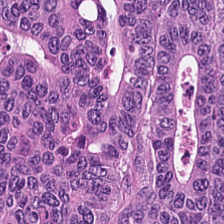Hematoxylin and eosin · 0.5 µm per pixel · FFPE.
Q: What tissue is shown?
A: This is tumor epithelium.
